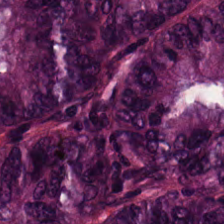Q: What is the predominant tissue type?
A: Colorectal adenocarcinoma epithelium.
